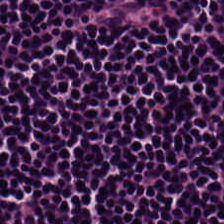Hematoxylin and eosin — This field is lymphoid infiltrate.
